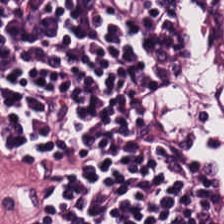{"tissue_type": "lymphocytes"}
